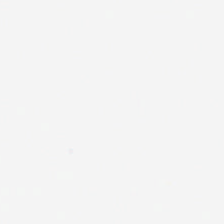224×224 pixel tile · 20× equivalent magnification · H&E stain.
{"content": "background (no tissue)"}
